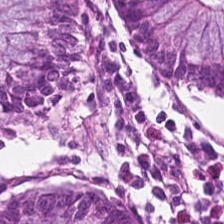Hematoxylin-and-eosin stained section. Whole-slide-image patch. 224×224 px tile. Q: Identify the tissue.
A: It is normal colonic mucosa.
